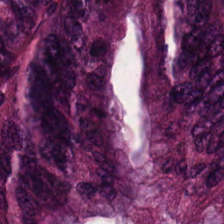Stain: H&E.
Tissue type: tumor epithelium.
